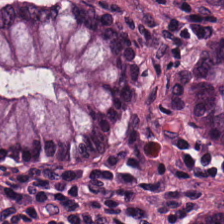H&E. Tissue type = non-neoplastic colon mucosa.
